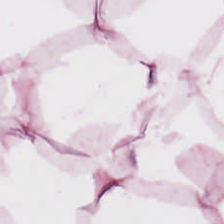H&E stain — {"tissue_type": "adipose tissue"}
